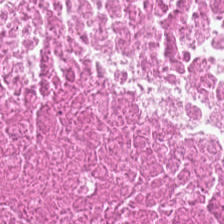Hematoxylin-and-eosin stained section — The predominant tissue is necrotic debris.
